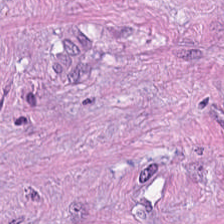Classification — tumor-associated stroma.
